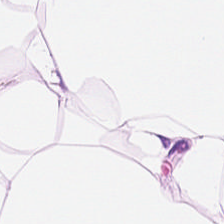Hematoxylin and eosin · 0.5 µm/px · WSI patch. The tissue class is adipocytes.
